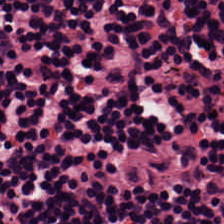Hematoxylin and eosin — Tissue type — lymphocyte aggregate.
